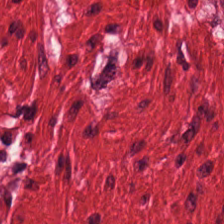FFPE · H&E — The tissue here is smooth muscle.
